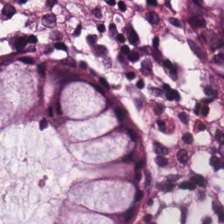H&E stain — Classification = normal colonic mucosa.
